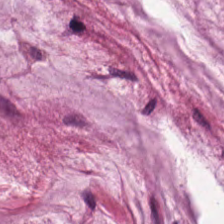Stain: H&E-stained tissue section.
Predominant tissue: extracellular mucin.
